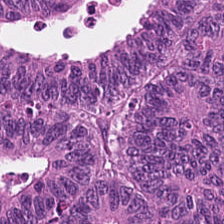Brightfield microscopy · H&E · formalin-fixed paraffin-embedded section.
Tumor epithelium.
